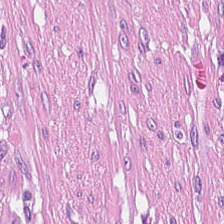Finding → tumor stroma.
